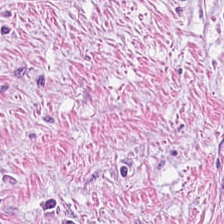Brightfield microscopy. 0.5 µm per pixel. H&E stain.
Impression — tumor-associated stroma.
